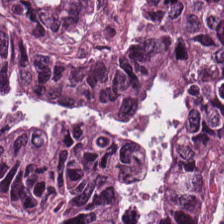Hematoxylin and eosin. Showing adenocarcinoma.
